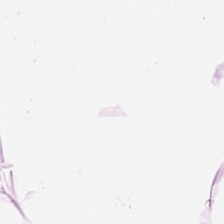Hematoxylin and eosin. Q: What is shown here?
A: This is adipose tissue.
